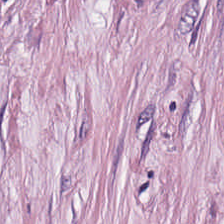H&E stain. The tissue type is desmoplastic stroma.
